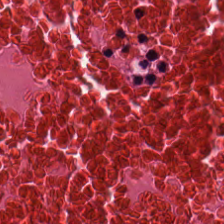H&E stain; WSI patch. This patch shows cellular debris.
